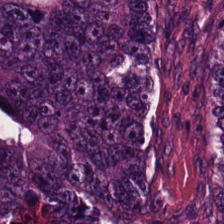Hematoxylin-and-eosin stained section · 224×224 pixel tile. Tissue type — adenocarcinoma.
